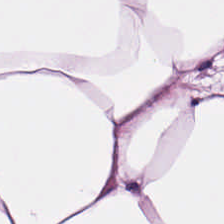H&E-stained tissue section — Predominant tissue = adipose tissue.
